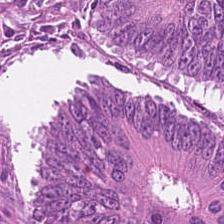Hematoxylin-and-eosin stained section. 20× equivalent magnification. 224×224 px patch.
Q: What is shown here?
A: The field shows tumor epithelium.
